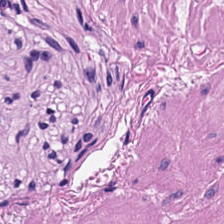Hematoxylin-and-eosin stained section · 224×224 pixel tile. Q: What tissue is shown?
A: Smooth-muscle tissue.
